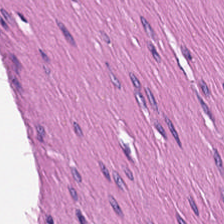Q: Identify the tissue.
A: It is smooth muscle.
